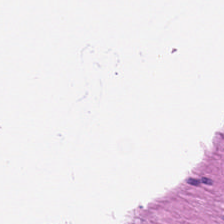Hematoxylin-and-eosin stained section.
Impression → smooth-muscle tissue.
